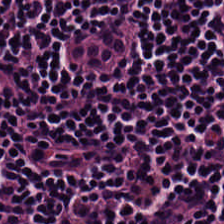Tissue class: lymphocytic infiltrate.
